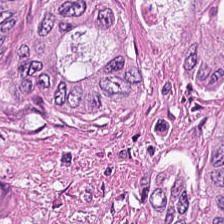H&E — Predominantly colorectal adenocarcinoma epithelium.
